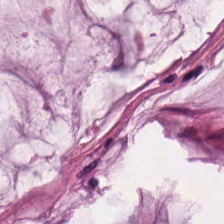Stain: H&E.
Acquisition: brightfield microscopy.
Classification: mucus.
